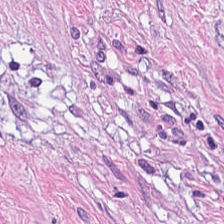Q: Identify the tissue.
A: The field shows desmoplastic stroma.
